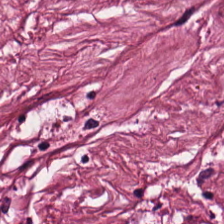Hematoxylin-and-eosin stained section; FFPE; 0.5 µm per pixel — Tissue class — desmoplastic stroma.
